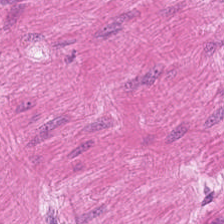Hematoxylin-and-eosin stained section; FFPE tissue section.
The classification is smooth-muscle tissue.
